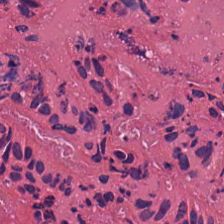H&E-stained tissue section showing cellular debris.
